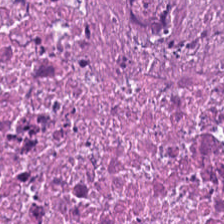Hematoxylin and eosin — Showing debris.
